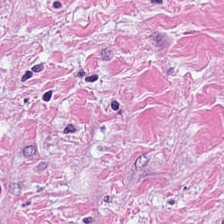H&E-stained tissue section.
Q: What tissue is shown?
A: The field shows cancer-associated stroma.
